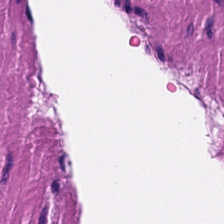224×224 pixel tile. H&E-stained tissue section — Histology — smooth-muscle tissue.
